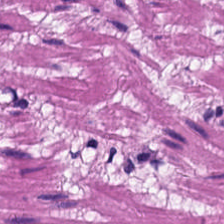Hematoxylin and eosin. 20× equivalent magnification.
The tissue here is smooth muscle.
